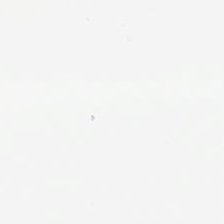H&E.
This field is background (no tissue).
